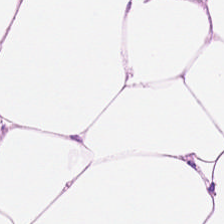H&E-stained tissue section. 224×224 pixel tile. 0.5 microns per pixel.
Classification: adipocytes.
